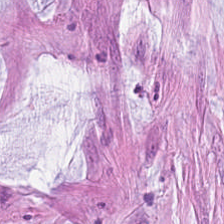H&E stain · 0.5 µm/px · 224×224 px tile. Q: What is shown in this field?
A: The field shows mucin.
